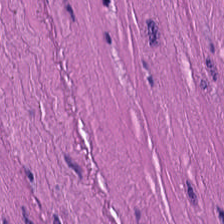H&E-stained tissue section.
The tissue here is smooth muscle.
